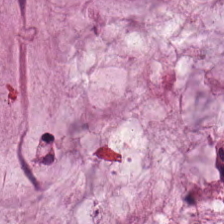Hematoxylin and eosin — Q: What is shown here?
A: This is mucus.
